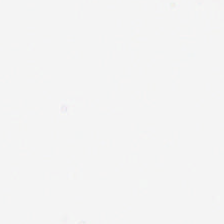224×224 px patch · hematoxylin and eosin. Background.
